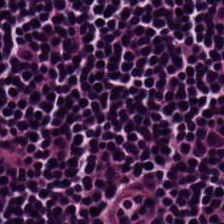Stain: H&E-stained tissue section.
Classification: lymphocytic infiltrate.
